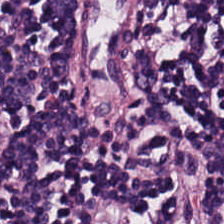Histology — lymphocytic infiltrate.
